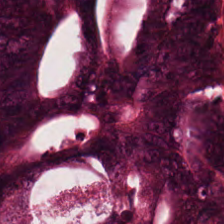H&E-stained tissue section.
Q: What tissue is shown?
A: The field shows tumor epithelium.
